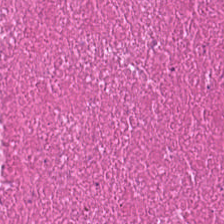H&E — necrotic debris.
